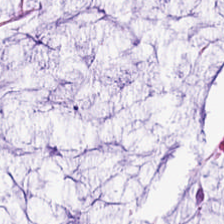H&E · 224×224 px tile. Predominant tissue: mucin.
